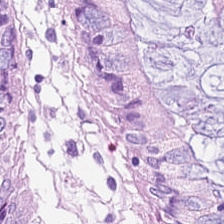224×224 px patch. H&E-stained tissue section. The tissue here is non-neoplastic colon mucosa.
